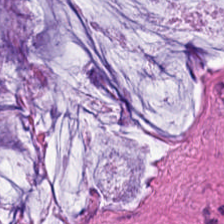H&E.
Tissue type = mucin.
